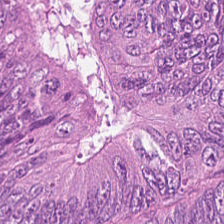H&E. The tissue type is colorectal adenocarcinoma epithelium.
